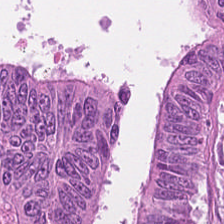0.5 µm/px · brightfield microscopy · H&E.
Finding — adenocarcinoma.
